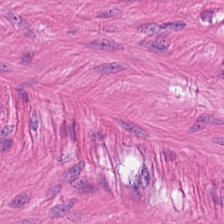Hematoxylin and eosin.
Tissue class = smooth muscle.
